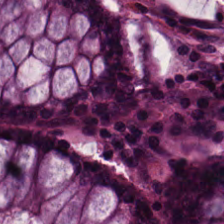H&E-stained tissue section. Impression — normal colon mucosa.
